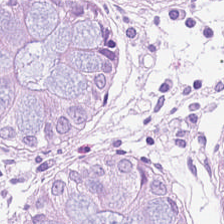Hematoxylin and eosin.
This field is non-neoplastic colon mucosa.
